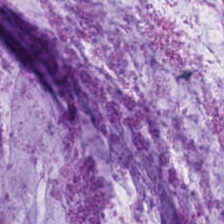H&E — Predominantly mucus.
